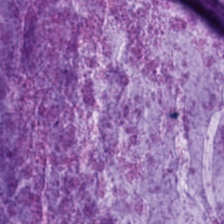H&E patch showing mucin.
